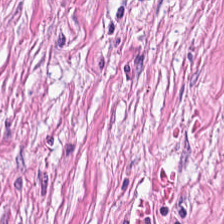Q: Identify the tissue.
A: This is cancer-associated stroma.
